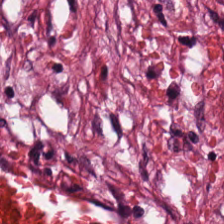Hematoxylin and eosin · brightfield microscopy · 0.5 microns per pixel.
Tumor-associated stroma.
